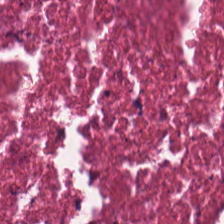This patch shows necrotic debris.
